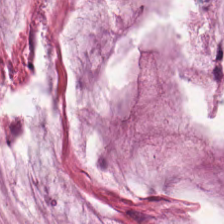Hematoxylin-and-eosin stained section · FFPE tissue section — Q: What does this patch show?
A: The field shows extracellular mucin.
